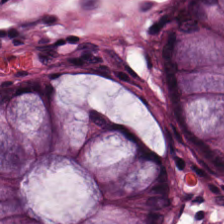224×224 px patch; H&E-stained tissue section. Tissue — benign colonic mucosa.
